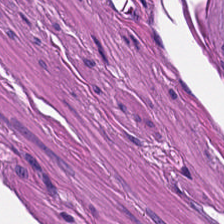H&E. This field is muscularis.
